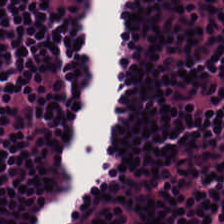H&E stain · whole-slide-image patch — {"tissue_type": "lymphocyte aggregate"}
